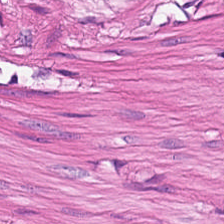H&E — Showing muscularis.
